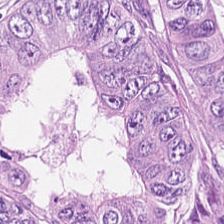224×224 px tile. H&E. WSI patch.
Tissue type — malignant epithelium.
